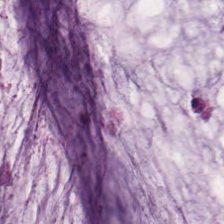H&E-stained tissue section. Q: What is the predominant tissue type?
A: The field shows extracellular mucin.
